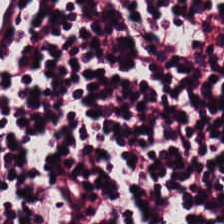224×224 px patch; whole-slide-image patch; H&E — The tissue is lymphocytes.
